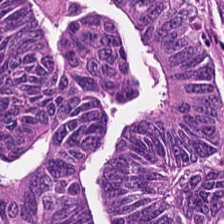Finding → colorectal adenocarcinoma.
